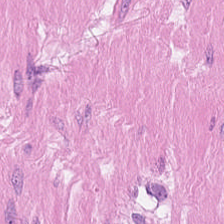Whole-slide-image patch. H&E-stained tissue section. 0.5 µm/px — Predominantly smooth-muscle tissue.
